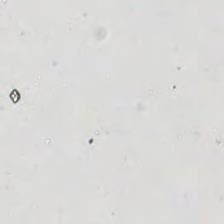Q: What is shown in this field?
A: The field shows background (no tissue).
